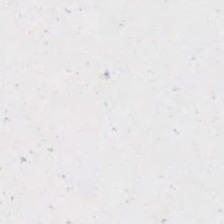H&E · 0.5 µm/px.
Q: Classify this patch.
A: This is background (no tissue).
